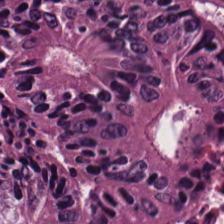Hematoxylin-and-eosin stained section.
The tissue here is tumor epithelium.
